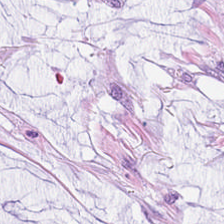H&E-stained tissue section.
{"tissue_type": "extracellular mucin"}
